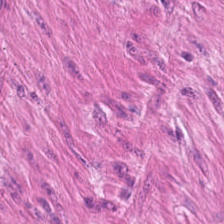Hematoxylin and eosin. 0.5 µm per pixel. Brightfield microscopy. Tissue type — smooth muscle.
